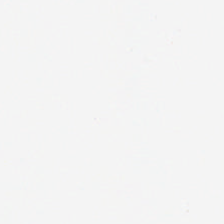0.5 µm/px · brightfield microscopy · H&E.
Classification — background (no tissue).
